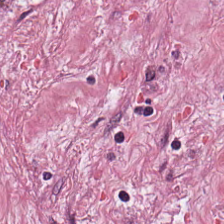20× equivalent magnification; H&E.
Q: What tissue type is shown here?
A: Tumor stroma.
